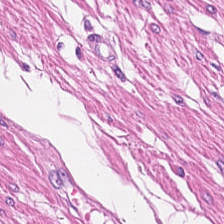Hematoxylin-and-eosin stained section — Q: What tissue type is shown here?
A: This is smooth-muscle tissue.
